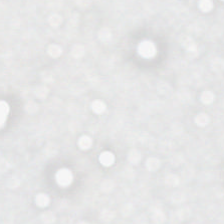0.5 µm/px; H&E stain — Field content: no tissue.
